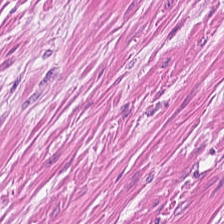The tissue here is muscularis.
